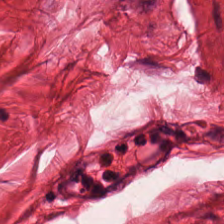224×224 pixel tile. H&E. Histology → muscularis.
